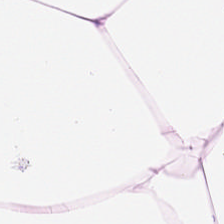H&E-stained tissue section. Q: What does this patch show?
A: It is adipose.
